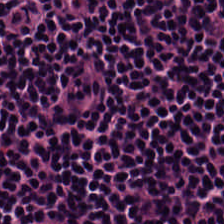H&E-stained tissue section. This field is lymphoid infiltrate.
